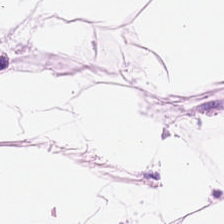Tissue class = adipose tissue.
